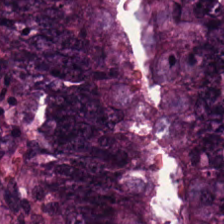Predominantly colorectal adenocarcinoma epithelium.
